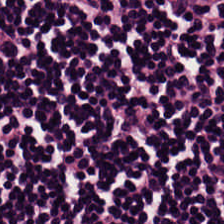H&E-stained tissue section.
Q: Identify the tissue.
A: It is lymphocytic infiltrate.
